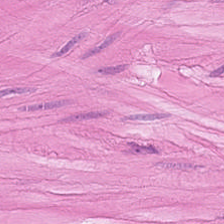Stain: H&E stain.
Tissue: smooth-muscle tissue.
